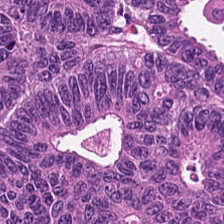Hematoxylin-and-eosin stained section; FFPE tissue section; 224×224 pixel tile — This patch shows tumor epithelium.
